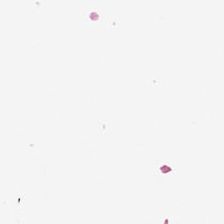224×224 px patch. H&E — Q: What does this patch show?
A: The field shows empty background.
